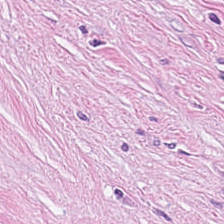Stain: H&E-stained tissue section.
Predominant tissue: tumor-associated stroma.
